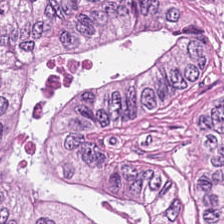Formalin-fixed paraffin-embedded section; H&E. Predominantly malignant epithelium.
